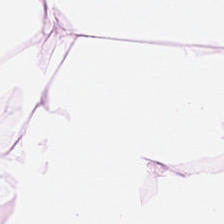Stain: hematoxylin-and-eosin stained section.
Predominant tissue: adipocytes.
